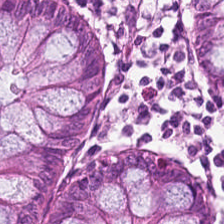20× equivalent magnification; H&E. Normal colonic mucosa.
